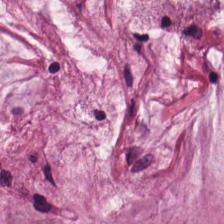H&E. 0.5 microns per pixel — {"tissue_type": "extracellular mucin"}
